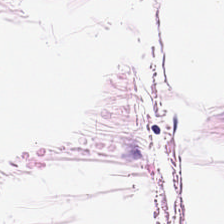Hematoxylin and eosin; 20× equivalent magnification. The tissue is adipocytes.
